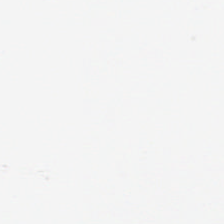Classification — background.
